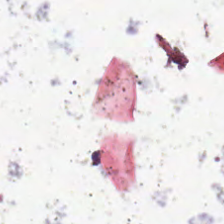H&E-stained tissue section.
Field content: background.
